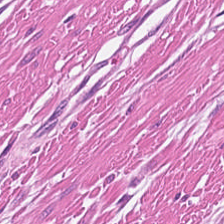H&E stain; 224×224 px patch. Impression — smooth muscle.
